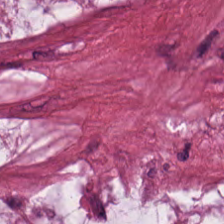0.5 microns per pixel. H&E.
Classification: mucus.
